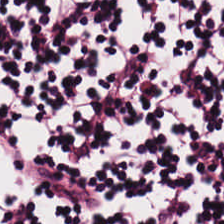H&E stain.
The predominant tissue is lymphocytic infiltrate.
